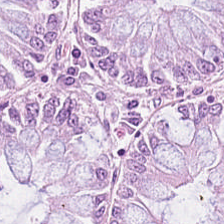H&E · 224×224 px patch.
The tissue here is normal colonic mucosa.
